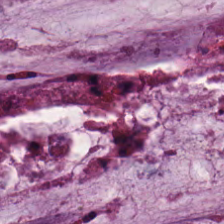Hematoxylin-and-eosin stained section; formalin-fixed paraffin-embedded section.
Predominant tissue = mucus.
